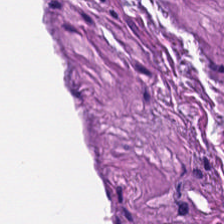Brightfield microscopy · hematoxylin-and-eosin stained section — Predominantly smooth-muscle tissue.
